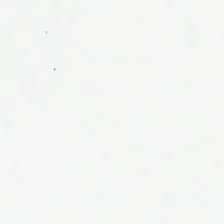Hematoxylin-and-eosin stained section.
Classification: background.
